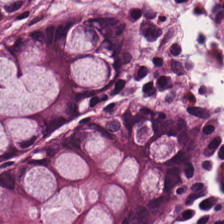224×224 px tile. Formalin-fixed paraffin-embedded section. Hematoxylin-and-eosin stained section.
Q: What is shown in this field?
A: This is normal colonic mucosa.
